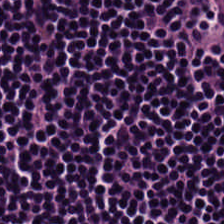Hematoxylin-and-eosin stained section. 0.5 µm per pixel. Brightfield microscopy — This patch shows lymphocyte aggregate.
